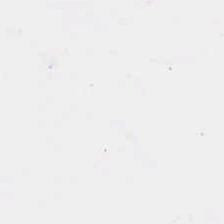Hematoxylin and eosin · 224×224 px patch — The field content is background.
